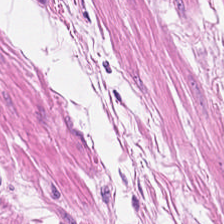H&E-stained tissue section.
Predominantly smooth-muscle tissue.
